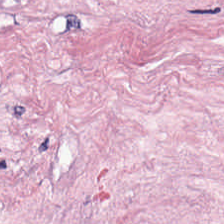H&E. Q: Classify this patch.
A: Cancer-associated stroma.
